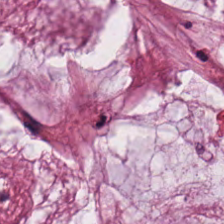Hematoxylin and eosin; 0.5 µm/px; FFPE. Predominant tissue = mucin.
